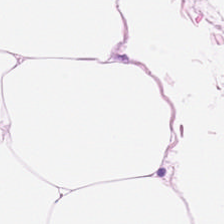H&E stain.
Tissue type = adipose tissue.
